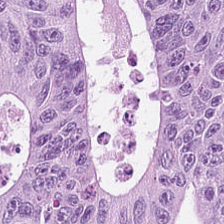H&E-stained tissue section. 224×224 px tile. FFPE.
This patch shows colorectal adenocarcinoma.
